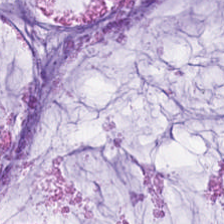Whole-slide-image patch · H&E stain.
Classification: mucin.
